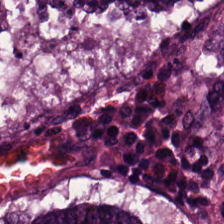Impression → malignant epithelium.
